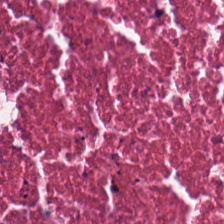Stain: H&E.
Preparation: FFPE tissue section.
Tile size: 224×224 px patch.
Predominant tissue: cellular debris.
